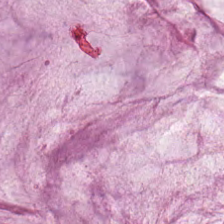Hematoxylin and eosin. The predominant tissue is mucus.
